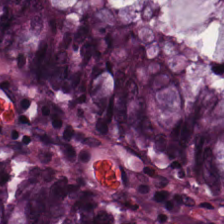0.5 µm/px. Hematoxylin-and-eosin stained section. 224×224 px tile. Q: What tissue is shown?
A: Benign colonic mucosa.
